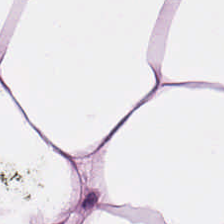Hematoxylin-and-eosin stained section — Tissue — fat tissue.
